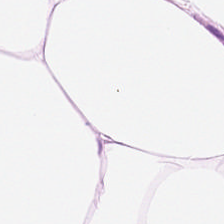Hematoxylin and eosin — The tissue type is adipose.
